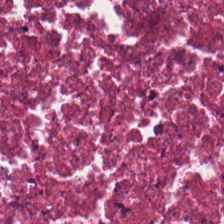Stain: H&E.
Classification: necrotic debris.
